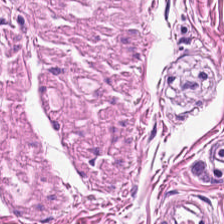H&E stain.
This patch shows smooth muscle.
